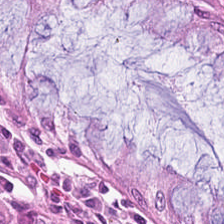Hematoxylin-and-eosin stained section.
Predominant tissue: benign colonic mucosa.
